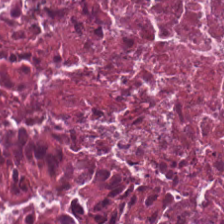H&E. Tissue class = necrotic debris.
